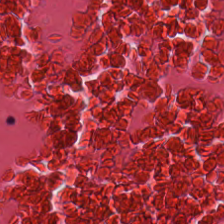H&E-stained tissue section — Tissue type — necrotic debris.
